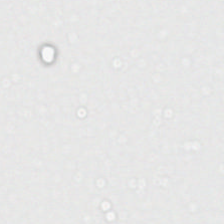Stain: hematoxylin-and-eosin stained section.
Content: no tissue.
